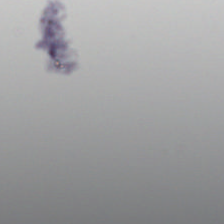Brightfield microscopy · H&E stain · 224×224 px patch — Empty field — empty background.
